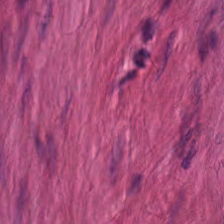Hematoxylin-and-eosin stained section. Brightfield microscopy. Q: What is shown here?
A: Smooth muscle.
